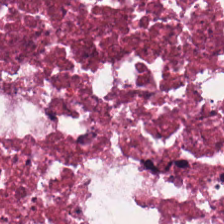H&E. The predominant tissue is necrotic debris.
